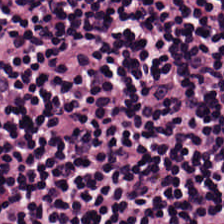Stain: H&E.
Resolution: 0.5 µm per pixel.
Tissue: lymphocyte aggregate.
